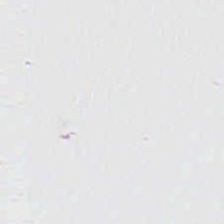Hematoxylin and eosin. Formalin-fixed paraffin-embedded section. 224×224 px tile — Finding → background.
